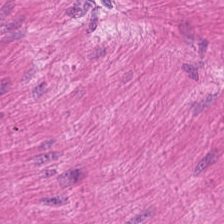H&E-stained tissue section. Brightfield. FFPE tissue section. {"tissue_type": "smooth-muscle tissue"}
